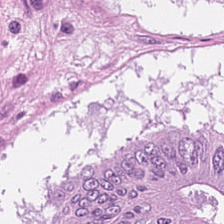H&E patch showing adenocarcinoma.
